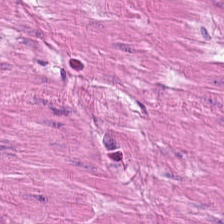H&E stain — Finding — muscularis.
